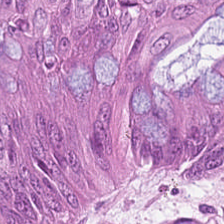H&E. Brightfield. 0.5 µm/px — Tissue type = tumor epithelium.
